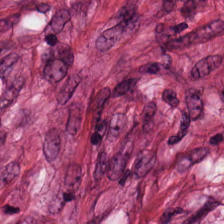Stain: hematoxylin-and-eosin stained section.
Predominant tissue: cancer-associated stroma.
